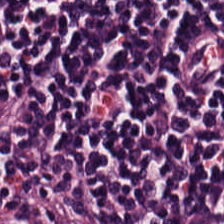FFPE tissue section; hematoxylin-and-eosin stained section. Impression — lymphocyte aggregate.
